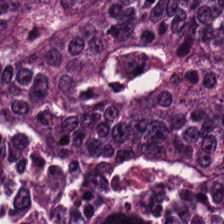H&E-stained tissue section · 224×224 pixel tile.
Predominantly colorectal adenocarcinoma.
